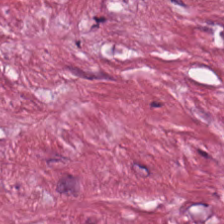H&E-stained tissue section — Tissue — desmoplastic stroma.
